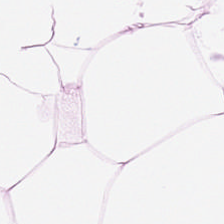This field is fat tissue.
